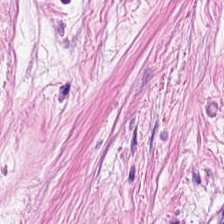Stain: hematoxylin-and-eosin stained section.
Tissue type: tumor stroma.
